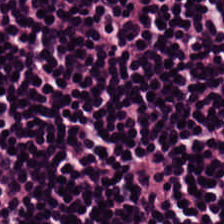Hematoxylin-and-eosin stained section · FFPE tissue section · whole-slide-image patch.
Tissue: lymphocytes.
